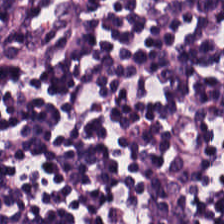Q: Identify the tissue.
A: This is lymphoid infiltrate.
